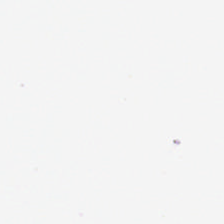FFPE; hematoxylin-and-eosin stained section — The classification is background (no tissue).
